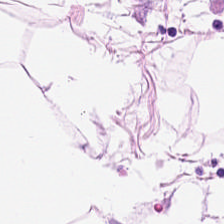Brightfield · hematoxylin and eosin — Q: What type of tissue is this?
A: Adipocytes.
